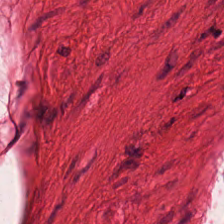H&E stain. 224×224 px tile. Showing muscularis.
